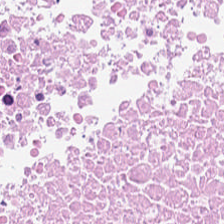H&E. Classification — necrotic debris.
